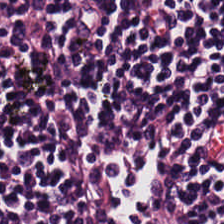Hematoxylin and eosin. Classification = lymphoid infiltrate.
